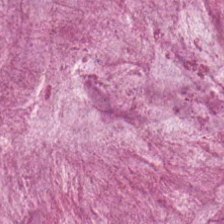0.5 microns per pixel. H&E stain.
Finding — mucin.
